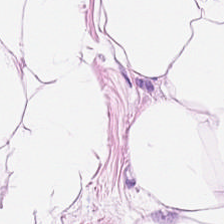H&E stain. The classification is adipose.
